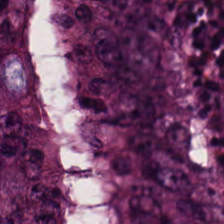Hematoxylin-and-eosin stained section. 20× equivalent magnification — This patch shows tumor epithelium.
